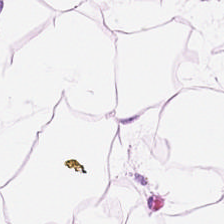Stain: H&E stain.
Tile size: 224×224 px patch.
Preparation: formalin-fixed paraffin-embedded section.
Tissue type: adipose tissue.
